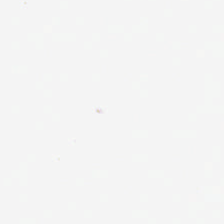Content = background.
